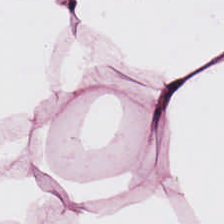Hematoxylin and eosin. 224×224 px tile. Brightfield.
Showing adipocytes.
